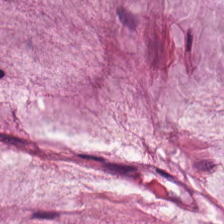Impression — mucin.
